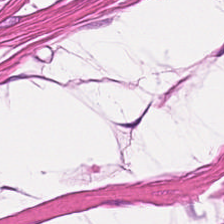Smooth-muscle tissue.
